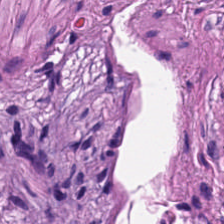Q: What is shown in this field?
A: This is smooth muscle.
